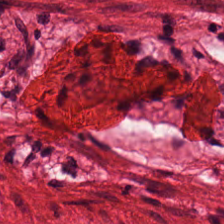H&E stain — The tissue here is smooth muscle.
